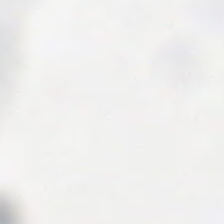This patch shows empty background.
